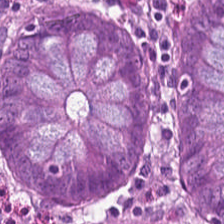0.5 µm per pixel · H&E-stained tissue section — Tissue — normal colon mucosa.
